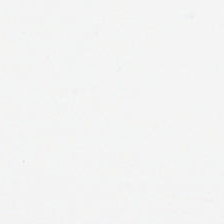Q: What is shown in this field?
A: The field shows empty background.
